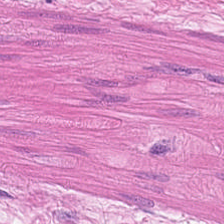Stain: hematoxylin and eosin.
Tissue class: muscularis.
